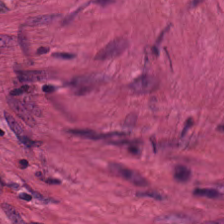Predominantly muscularis.
